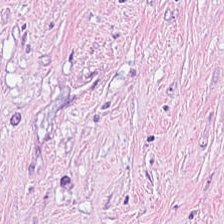H&E patch showing desmoplastic stroma.
